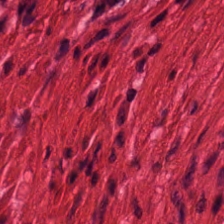Hematoxylin-and-eosin stained section.
This field is muscularis.
